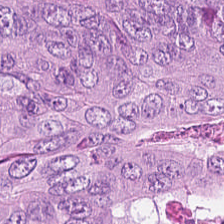Hematoxylin-and-eosin stained section; 0.5 µm/px; brightfield. Finding → adenocarcinoma.
